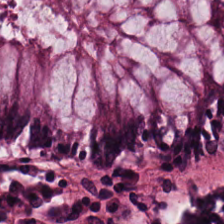Hematoxylin and eosin — The predominant tissue is benign colonic mucosa.
